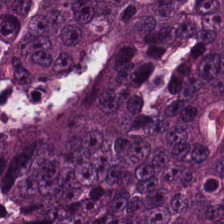Stain: H&E stain.
Preparation: FFPE tissue section.
Acquisition: brightfield microscopy.
Tissue: adenocarcinoma.
